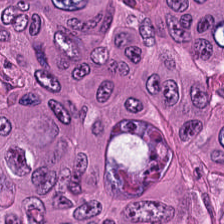H&E-stained tissue section showing malignant epithelium.
